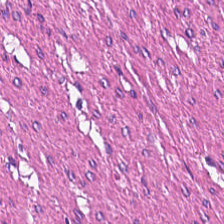Hematoxylin and eosin — The tissue class is smooth-muscle tissue.
